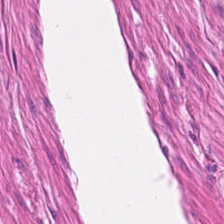Formalin-fixed paraffin-embedded section. H&E.
Tissue type: smooth muscle.
